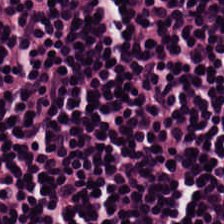Tissue type: lymphocytic infiltrate.
